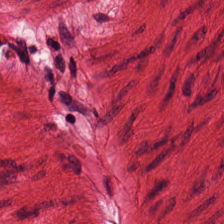H&E. Classification: smooth muscle.
